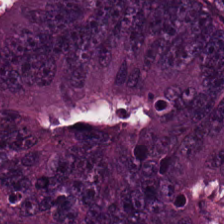H&E. 224×224 pixel tile. WSI patch.
Q: What is shown here?
A: It is colorectal adenocarcinoma epithelium.
